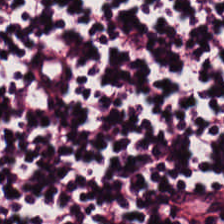Hematoxylin-and-eosin stained section — This patch shows lymphocytic infiltrate.
